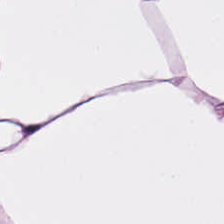224×224 px tile; H&E; 20× equivalent magnification.
The tissue here is adipocytes.
